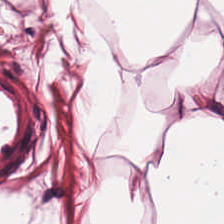Brightfield microscopy. H&E-stained tissue section. Predominant tissue = adipocytes.
